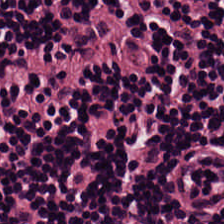Hematoxylin-and-eosin stained section.
Q: What is shown here?
A: Lymphocyte aggregate.
